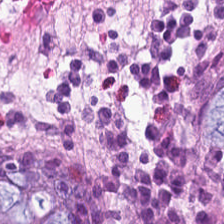Whole-slide-image patch · formalin-fixed paraffin-embedded section · hematoxylin-and-eosin stained section. The tissue here is normal colon mucosa.
